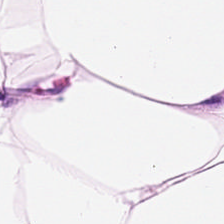This patch shows adipose tissue.
